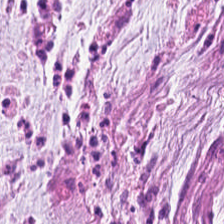H&E.
This field is extracellular mucin.
